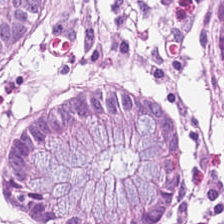H&E-stained section; the field shows benign colonic mucosa.
